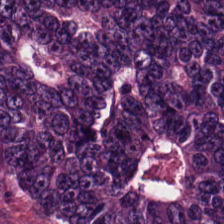Brightfield; H&E stain — This patch shows colorectal adenocarcinoma epithelium.
